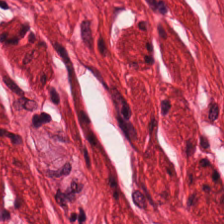Hematoxylin-and-eosin stained section. Q: What tissue type is shown here?
A: It is muscularis.
